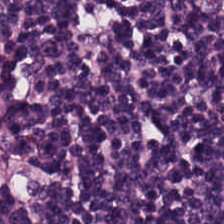Hematoxylin and eosin. 224×224 px patch. This field is lymphocyte aggregate.
